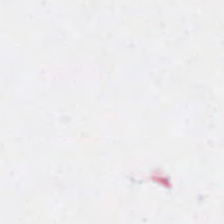Stain: H&E.
Content: background (no tissue).
